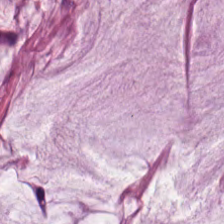The tissue here is mucus.
